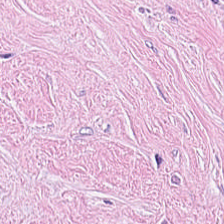H&E-stained tissue section — This patch shows desmoplastic stroma.
